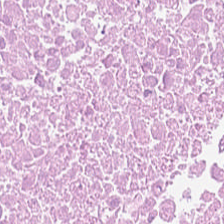The predominant tissue is cellular debris.
